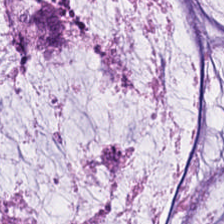224×224 px patch. Hematoxylin and eosin.
Impression → mucin.
